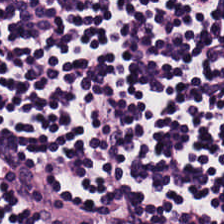Classification — lymphocyte aggregate.
